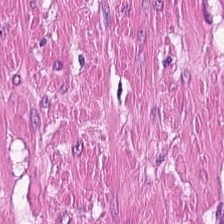WSI patch. H&E stain.
Predominant tissue = smooth muscle.
